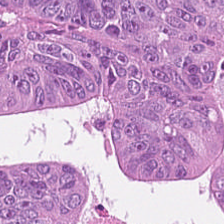Hematoxylin and eosin. 0.5 µm per pixel. Q: Classify this patch.
A: Tumor epithelium.
